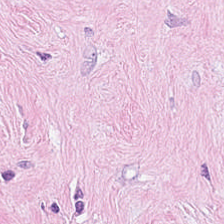Finding — tumor-associated stroma.
